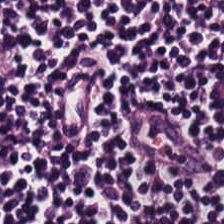0.5 µm per pixel. 224×224 px tile. H&E.
The tissue here is lymphoid infiltrate.
